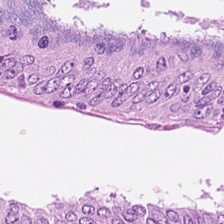Hematoxylin and eosin. Showing colorectal adenocarcinoma epithelium.
